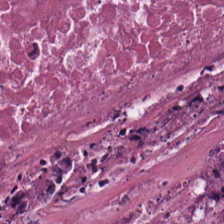Hematoxylin and eosin. 224×224 px tile.
{"tissue_type": "debris"}
